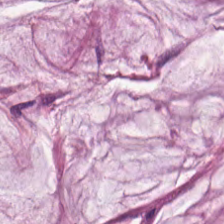Stain: hematoxylin and eosin.
Tissue class: mucin.
